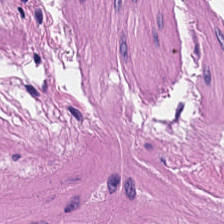H&E stain.
Q: What tissue type is shown here?
A: It is muscularis.
